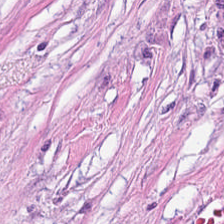H&E-stained tissue section. Predominantly tumor stroma.
